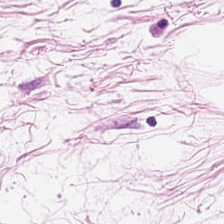Hematoxylin and eosin. Predominant tissue: adipose tissue.
